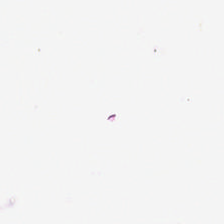Hematoxylin and eosin.
Histology → empty background.
